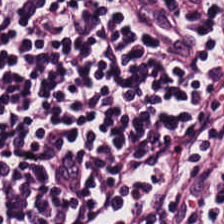Hematoxylin-and-eosin stained section.
The tissue here is lymphocyte aggregate.
